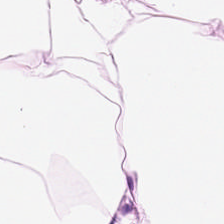0.5 µm per pixel; hematoxylin-and-eosin stained section. Finding — adipose tissue.
